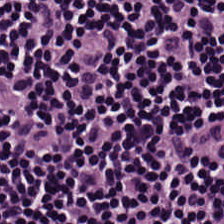Stain: hematoxylin and eosin.
Predominant tissue: lymphoid infiltrate.
